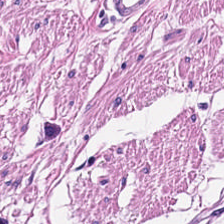H&E-stained tissue section showing smooth muscle.
